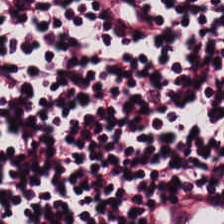H&E. Formalin-fixed paraffin-embedded section. Predominantly lymphocytes.
